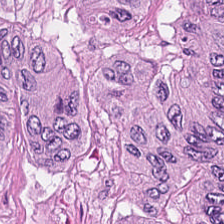224×224 px tile. FFPE. H&E-stained tissue section.
Showing tumor epithelium.
